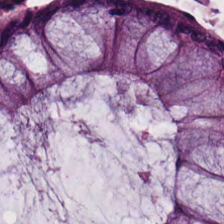224×224 px tile; H&E stain — This field is normal colon mucosa.
